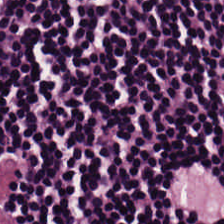This patch shows lymphocyte aggregate.
